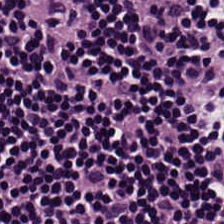The predominant tissue is lymphocyte aggregate.
